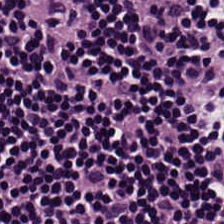The predominant tissue is lymphocyte aggregate.
